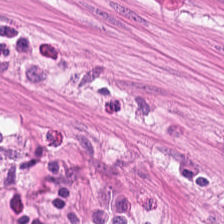H&E stain; FFPE; 0.5 µm per pixel.
Classification — smooth muscle.
